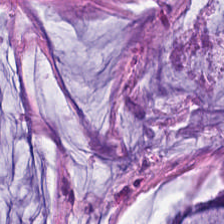Hematoxylin and eosin. The tissue type is mucin.
